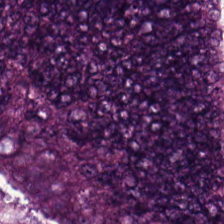Hematoxylin-and-eosin stained section — The tissue here is colorectal adenocarcinoma.
